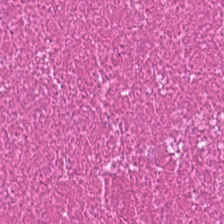H&E-stained tissue section. {"tissue_type": "necrotic debris"}
